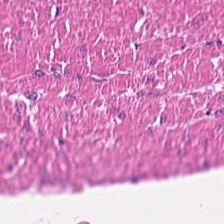H&E-stained tissue section.
Tissue type: smooth-muscle tissue.
